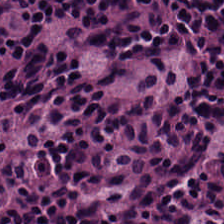Hematoxylin and eosin — Q: What does this patch show?
A: The field shows lymphoid infiltrate.
